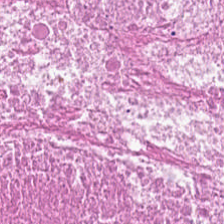WSI patch; H&E — Q: What is shown in this field?
A: The field shows necrotic debris.
